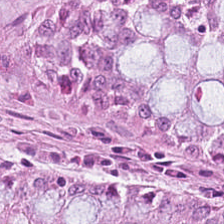Stain: H&E stain.
Acquisition: brightfield.
Tissue type: non-neoplastic colon mucosa.
